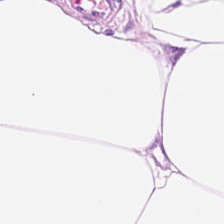{"tissue_type": "adipocytes"}
